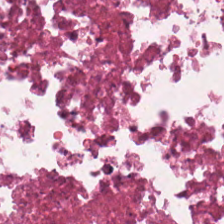Brightfield microscopy · 0.5 µm per pixel · H&E — This patch shows debris.
